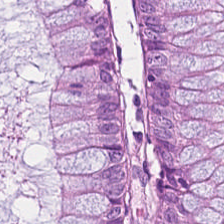Tissue type: normal colonic mucosa.
